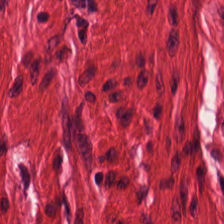H&E stain; 0.5 µm per pixel — Q: What is shown in this field?
A: Smooth-muscle tissue.
